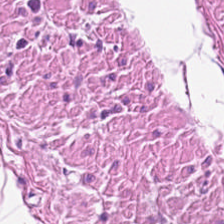Hematoxylin and eosin · brightfield microscopy · FFPE tissue section.
Tissue — smooth muscle.
